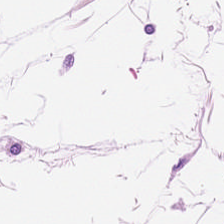H&E stain. This patch shows adipocytes.
